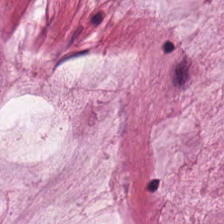This patch shows mucus.
